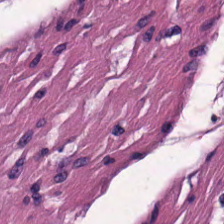224×224 px tile; hematoxylin-and-eosin stained section — Histology → smooth muscle.
